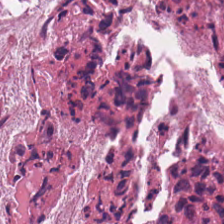Hematoxylin and eosin.
Impression — necrotic debris.
